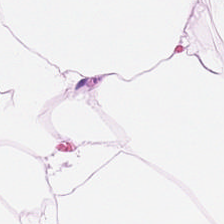Hematoxylin and eosin; FFPE tissue section; 224×224 px tile.
This patch shows adipose.
